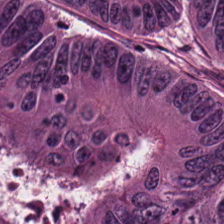H&E-stained tissue section. This patch shows tumor epithelium.
